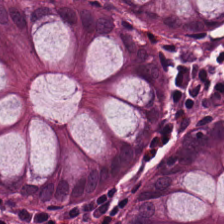0.5 microns per pixel · H&E-stained tissue section.
Q: What tissue type is shown here?
A: Non-neoplastic colon mucosa.
